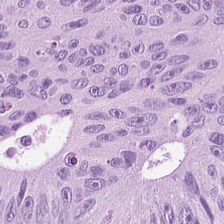Hematoxylin-and-eosin stained section. Showing adenocarcinoma.
